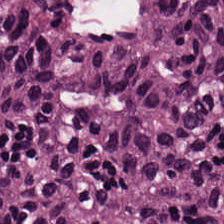Hematoxylin and eosin · formalin-fixed paraffin-embedded section. {"tissue_type": "tumor epithelium"}
